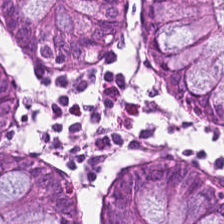Impression — benign colonic mucosa.
